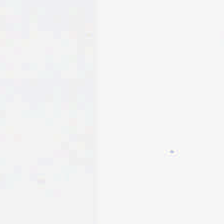Stain: H&E.
Preparation: FFPE.
Content: background.
